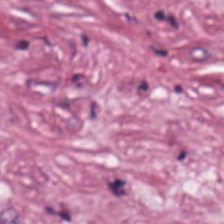224×224 pixel tile · hematoxylin and eosin.
The tissue here is cancer-associated stroma.
